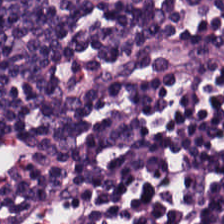Hematoxylin and eosin. 0.5 µm per pixel. The predominant tissue is lymphoid infiltrate.
